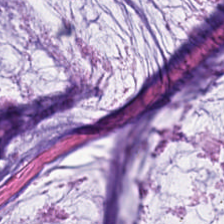Hematoxylin-and-eosin stained section. Showing extracellular mucin.
